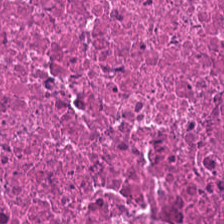Brightfield microscopy. H&E. 0.5 µm per pixel. The predominant tissue is cellular debris.
